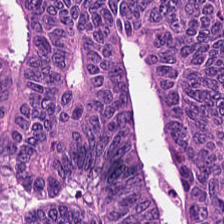Brightfield microscopy. 20× equivalent magnification. H&E stain. This patch shows adenocarcinoma.
